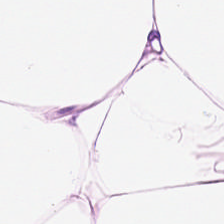Q: What is shown here?
A: Adipose tissue.
